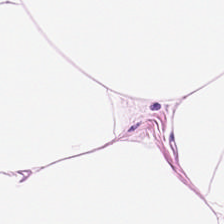Adipose tissue.
